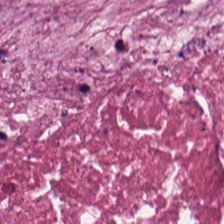Histology — debris.
